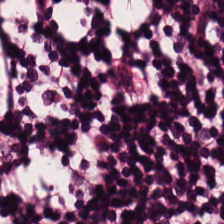Stain: H&E stain.
Tissue type: lymphocytic infiltrate.
